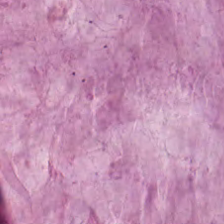H&E-stained tissue section. The tissue here is mucin.
